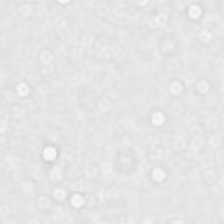H&E-stained tissue section — {"content": "empty background"}
